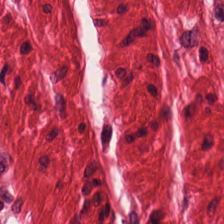H&E stain. Finding → smooth muscle.
